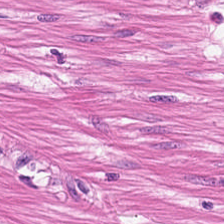Showing smooth muscle.
